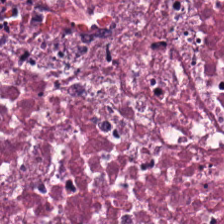H&E. Predominantly necrotic debris.
